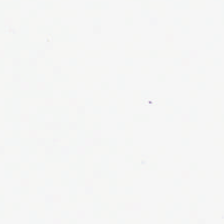Formalin-fixed paraffin-embedded section. 224×224 px tile. H&E stain — Q: Classify this patch.
A: Empty background.
